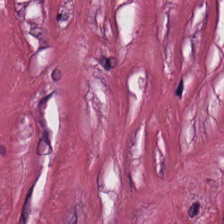H&E stain · 0.5 µm/px — Impression — tumor-associated stroma.
